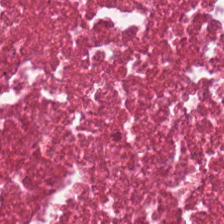20× equivalent magnification. Hematoxylin and eosin — The predominant tissue is cellular debris.
